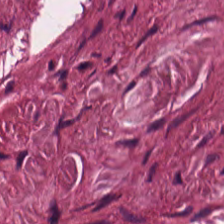Stain: hematoxylin-and-eosin stained section.
Tissue: cancer-associated stroma.
